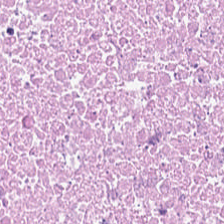Hematoxylin-and-eosin stained section; 224×224 px tile; 20× equivalent magnification. The tissue here is necrotic debris.
